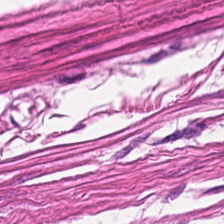Predominant tissue = smooth-muscle tissue.
